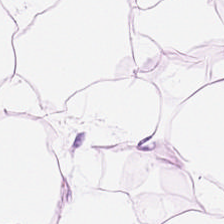Predominantly adipocytes.
